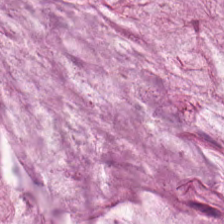Tissue class: mucin.
